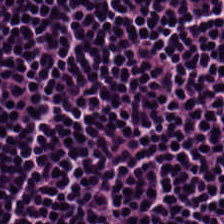The predominant tissue is lymphoid infiltrate.
